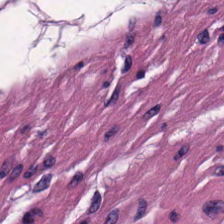Hematoxylin-and-eosin section: smooth-muscle tissue.
